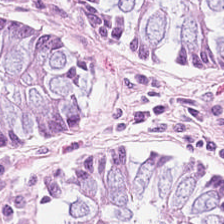The tissue is normal colonic mucosa.
